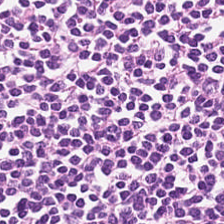224×224 pixel tile. Hematoxylin and eosin — Showing lymphocyte aggregate.
